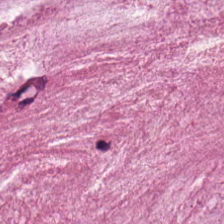H&E-stained section; the field shows mucus.
